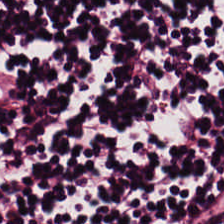{"tissue_type": "lymphocytes"}
